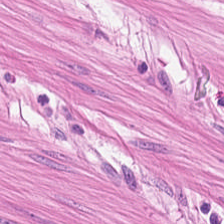H&E-stained tissue section — {"tissue_type": "smooth muscle"}
